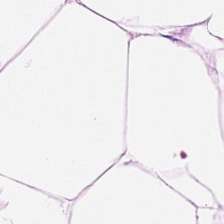Stain: H&E stain.
Classification: fat tissue.
